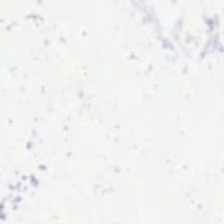H&E — {"content": "no tissue"}
